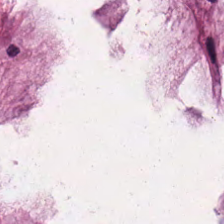Hematoxylin and eosin.
Tissue: mucus.
